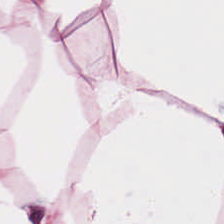Stain: hematoxylin and eosin.
Tissue class: adipocytes.
